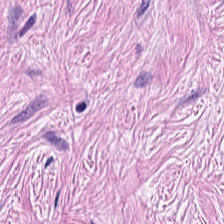Q: What tissue type is shown here?
A: This is cancer-associated stroma.
